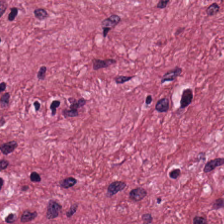Whole-slide-image patch. H&E — Predominant tissue: tumor-associated stroma.
